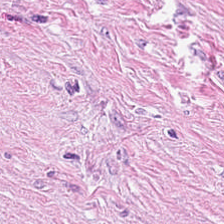Tissue type — cancer-associated stroma.
